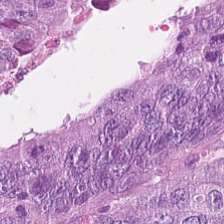Tissue: adenocarcinoma.
